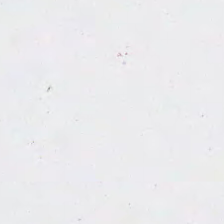Impression → empty background.
